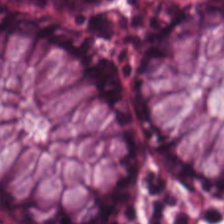Hematoxylin-and-eosin stained section. 20× equivalent magnification.
{"tissue_type": "normal colonic mucosa"}
